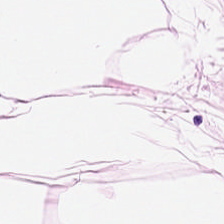H&E-stained tissue section. 0.5 microns per pixel. Whole-slide-image patch — Q: What is shown here?
A: Adipose tissue.
